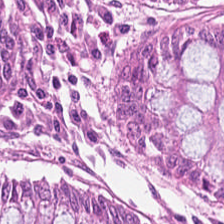H&E stain. Q: What tissue type is shown here?
A: Normal colon mucosa.
